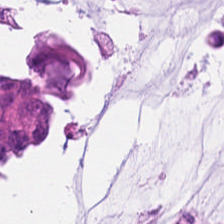0.5 µm per pixel. Hematoxylin and eosin. Whole-slide-image patch.
This field is mucus.
